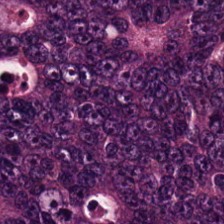Predominantly malignant epithelium.
